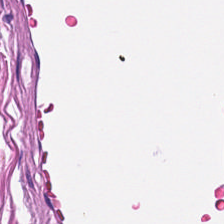Histology → smooth muscle.
